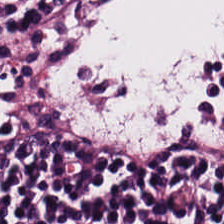H&E-stained section; the field shows lymphocyte aggregate.
